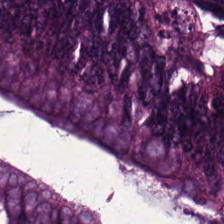H&E — {"tissue_type": "colorectal adenocarcinoma epithelium"}
